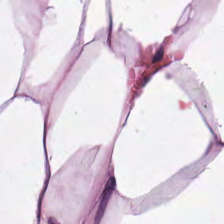Stain: H&E-stained tissue section.
Tissue: fat tissue.
